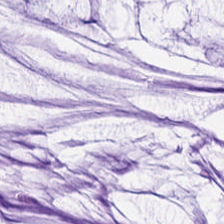H&E. The predominant tissue is mucin.
